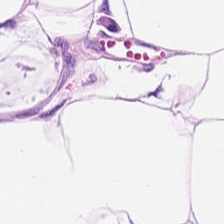H&E; 224×224 px patch.
The tissue here is adipocytes.
